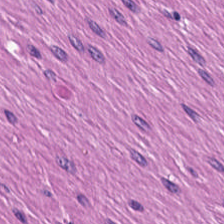H&E-stained tissue section.
Predominant tissue = smooth-muscle tissue.
